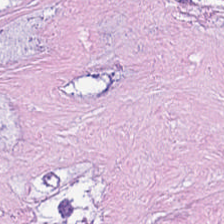H&E-stained tissue section — Histology — cellular debris.
